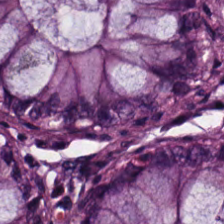Brightfield microscopy. Hematoxylin and eosin.
Predominant tissue — non-neoplastic colon mucosa.
